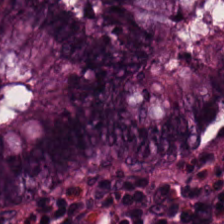Stain: H&E-stained tissue section.
Resolution: 20× equivalent magnification.
Acquisition: WSI patch.
Classification: benign colonic mucosa.
